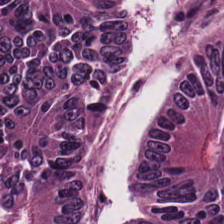Formalin-fixed paraffin-embedded section. H&E stain. 0.5 microns per pixel.
Tissue = malignant epithelium.
